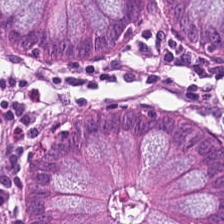0.5 µm per pixel. Hematoxylin and eosin. Whole-slide-image patch — The classification is non-neoplastic colon mucosa.
